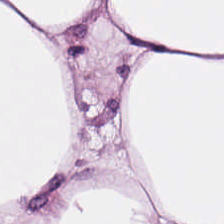Stain: hematoxylin-and-eosin stained section.
Preparation: FFPE.
Predominant tissue: adipose tissue.
